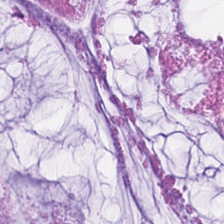H&E-stained tissue section — The tissue class is extracellular mucin.
